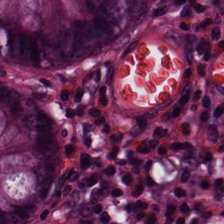Hematoxylin and eosin. Predominantly normal colonic mucosa.
